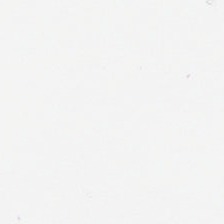Field content: background.
